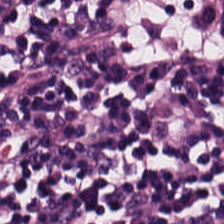Q: What is shown here?
A: This is lymphocytes.
